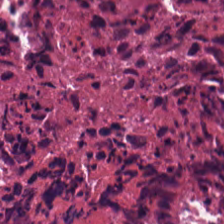20× equivalent magnification. H&E-stained tissue section. FFPE tissue section. Predominant tissue: necrotic debris.
